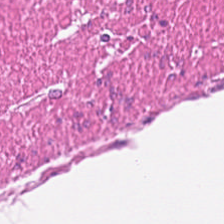H&E-stained tissue section · whole-slide-image patch.
Q: What is shown in this field?
A: It is muscularis.
